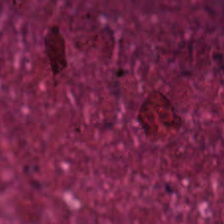Stain: hematoxylin and eosin.
Tile size: 224×224 pixel tile.
Predominant tissue: necrotic debris.
